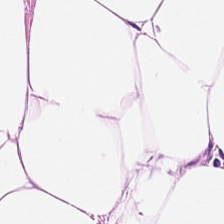Showing adipose tissue.
